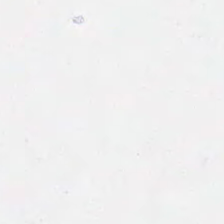Hematoxylin and eosin. Content — no tissue.
